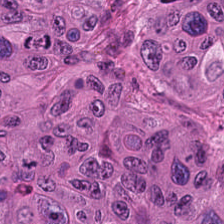Hematoxylin-and-eosin stained section · 224×224 px tile — The tissue here is colorectal adenocarcinoma epithelium.
